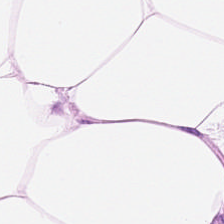0.5 microns per pixel · H&E-stained tissue section. Q: What is the predominant tissue type?
A: Adipose tissue.
